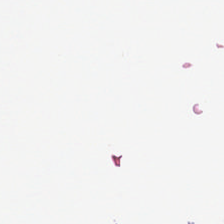Background.
